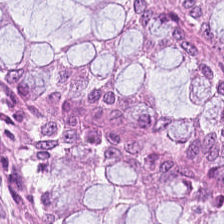H&E-stained tissue section. Whole-slide-image patch. FFPE. This patch shows benign colonic mucosa.
